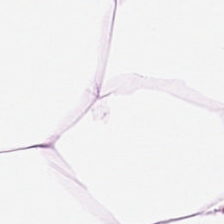Stain: hematoxylin and eosin.
Preparation: FFPE tissue section.
Tile size: 224×224 px tile.
Tissue type: adipose tissue.
